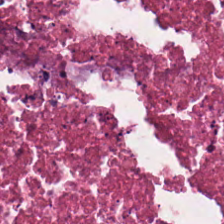Hematoxylin and eosin — The classification is necrotic debris.
